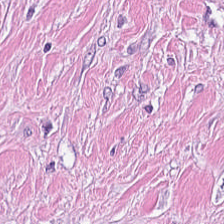Stain: H&E.
Tissue type: tumor stroma.
